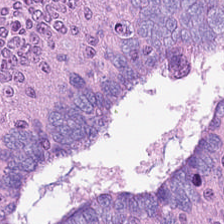Hematoxylin-and-eosin stained section.
{"tissue_type": "tumor epithelium"}
